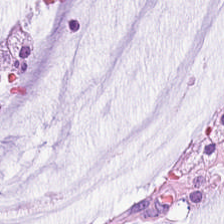H&E-stained tissue section; 0.5 microns per pixel.
This patch shows extracellular mucin.
